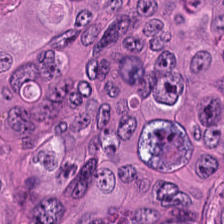Stain: H&E stain.
Acquisition: brightfield microscopy.
Classification: adenocarcinoma.
